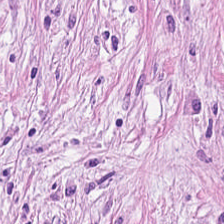H&E. FFPE — Q: What is the predominant tissue type?
A: Cancer-associated stroma.
